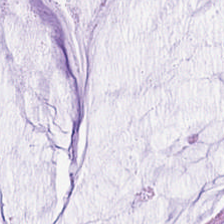Stain: H&E stain.
Resolution: 0.5 µm/px.
Predominant tissue: mucin.
